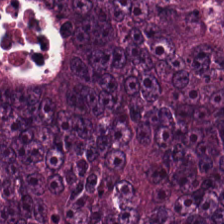H&E. Q: Identify the tissue.
A: It is colorectal adenocarcinoma epithelium.
